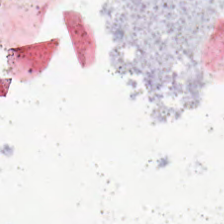Hematoxylin-and-eosin stained section; 224×224 pixel tile.
{"content": "empty background"}
